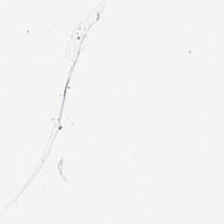No tissue present; background only.
